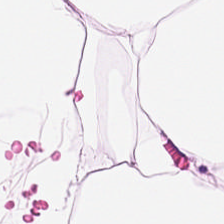Hematoxylin-and-eosin stained section · FFPE.
This patch shows adipocytes.
